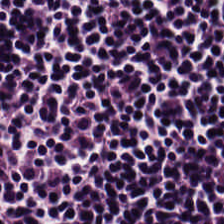Formalin-fixed paraffin-embedded section · H&E — The tissue type is lymphocytes.
